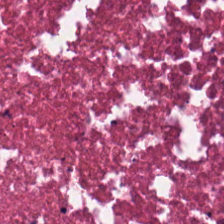20× equivalent magnification; hematoxylin and eosin; brightfield — The tissue class is debris.
